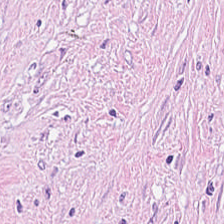Stain: H&E-stained tissue section.
Tissue type: desmoplastic stroma.
